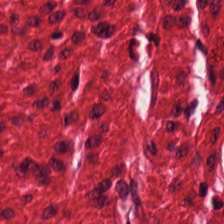Formalin-fixed paraffin-embedded section. H&E. Brightfield microscopy. Q: Classify this patch.
A: This is smooth-muscle tissue.
